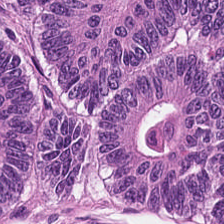H&E-stained section; the field shows colorectal adenocarcinoma.
